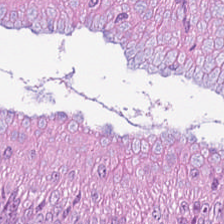Hematoxylin and eosin — Showing malignant epithelium.
